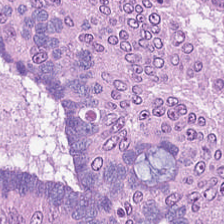Hematoxylin and eosin.
Showing colorectal adenocarcinoma.
